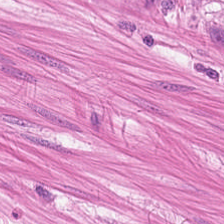H&E stain; 0.5 µm per pixel. The predominant tissue is muscularis.
